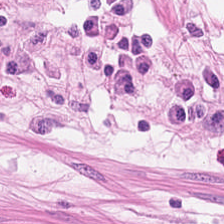H&E-stained tissue section; brightfield microscopy; FFPE.
Q: What tissue type is shown here?
A: Smooth-muscle tissue.
